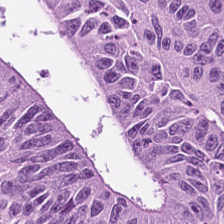Hematoxylin-and-eosin stained section.
Q: Identify the tissue.
A: The field shows malignant epithelium.
